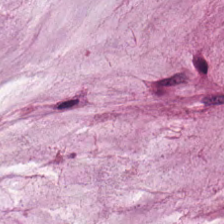Brightfield microscopy · hematoxylin and eosin. The predominant tissue is extracellular mucin.
